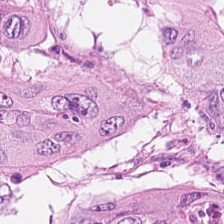Hematoxylin-and-eosin stained section.
Classification = colorectal adenocarcinoma epithelium.
